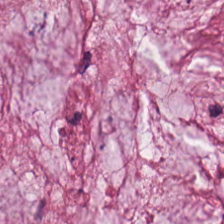Hematoxylin-and-eosin stained section; brightfield microscopy; formalin-fixed paraffin-embedded section. Tissue — extracellular mucin.
